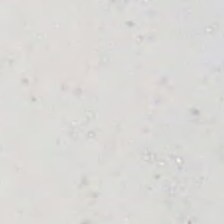This field is background (no tissue).
